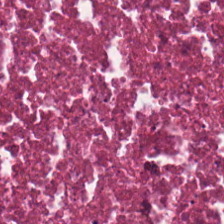Necrotic debris.
